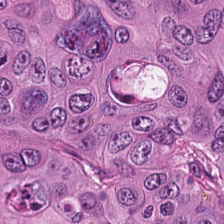H&E stain — This field is adenocarcinoma.
